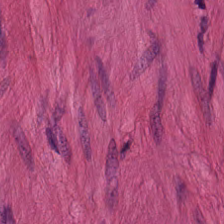H&E-stained tissue section. FFPE.
Smooth muscle.
